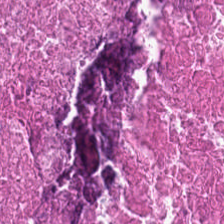H&E stain. Q: Classify this patch.
A: This is debris.
